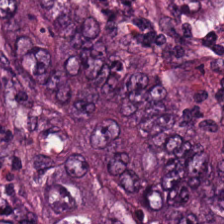Histology — adenocarcinoma.
